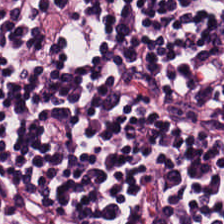H&E-stained section; the field shows lymphocyte aggregate.
